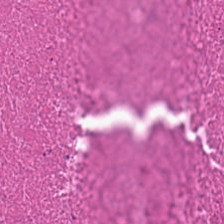Hematoxylin-and-eosin section: necrotic debris.
